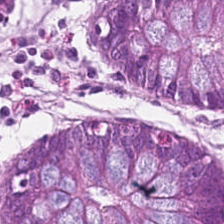Hematoxylin and eosin.
Q: What is the predominant tissue type?
A: The field shows non-neoplastic colon mucosa.
